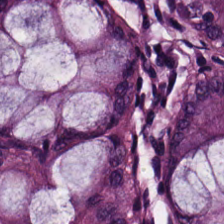WSI patch. H&E stain — The tissue is normal colon mucosa.
